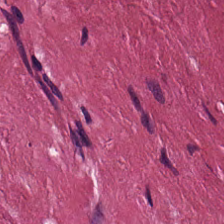Brightfield microscopy · H&E stain.
Showing cancer-associated stroma.
